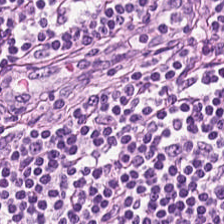Hematoxylin and eosin — Q: Classify this patch.
A: It is lymphocytic infiltrate.
